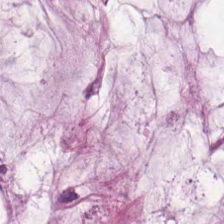H&E stain. 0.5 µm per pixel.
Mucus.
